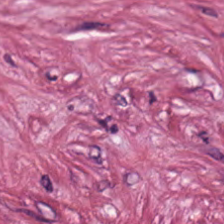0.5 µm/px. H&E stain.
Cancer-associated stroma.
